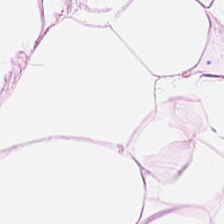Predominantly fat tissue.
